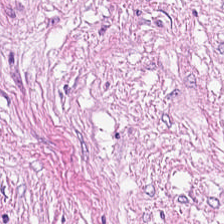224×224 px patch · hematoxylin-and-eosin stained section. Tissue class = cancer-associated stroma.
